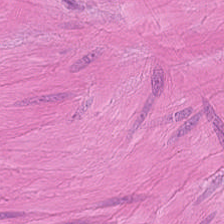Smooth-muscle tissue.
